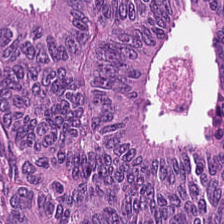H&E stain — Tissue = tumor epithelium.
